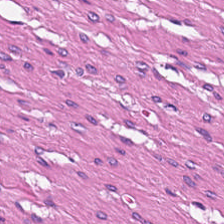H&E stain. Finding — smooth muscle.
